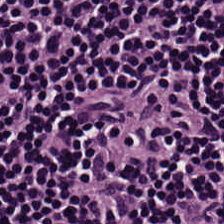H&E — lymphocytes.
